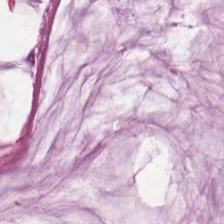Hematoxylin-and-eosin stained section · 224×224 px tile. The predominant tissue is mucin.
